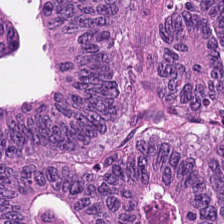H&E-stained tissue section. 224×224 pixel tile. Impression — tumor epithelium.
